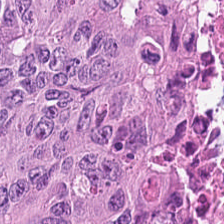Finding → malignant epithelium.
